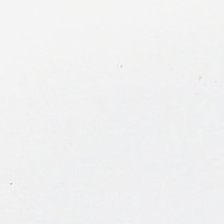H&E — This field is background (no tissue).
